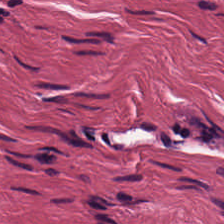Hematoxylin-and-eosin stained section · brightfield.
Classification — tumor stroma.
